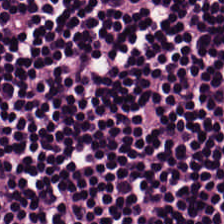WSI patch · hematoxylin and eosin · 0.5 µm/px — This field is lymphocytes.
